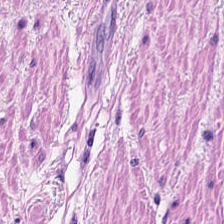Q: What tissue is shown?
A: This is smooth-muscle tissue.
